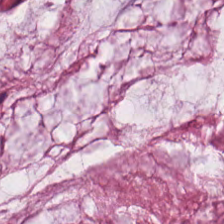H&E — This field is mucus.
